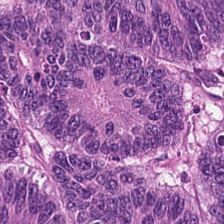Hematoxylin and eosin; brightfield microscopy.
Classification: colorectal adenocarcinoma epithelium.
